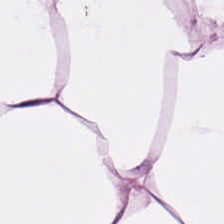Q: Classify this patch.
A: Adipose tissue.
